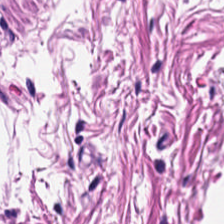H&E stain — {"tissue_type": "smooth muscle"}
